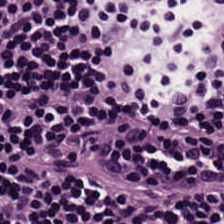H&E — The predominant tissue is lymphocytes.
